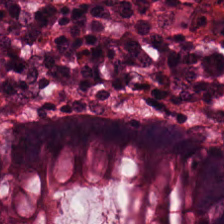Hematoxylin-and-eosin stained section — The tissue type is benign colonic mucosa.
